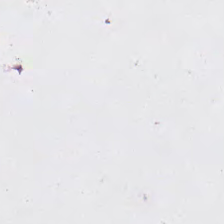FFPE; WSI patch; hematoxylin and eosin.
Classification — background.
